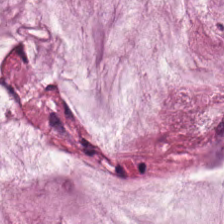Stain: hematoxylin-and-eosin stained section.
Resolution: 0.5 microns per pixel.
Tile size: 224×224 px patch.
Tissue: extracellular mucin.
